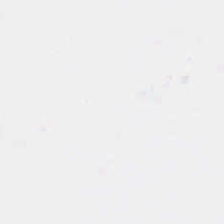Background — no tissue in this field.
